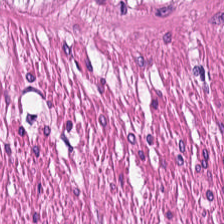H&E. Tissue — smooth-muscle tissue.
